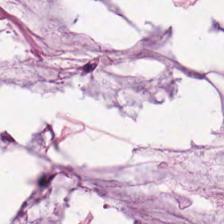20× equivalent magnification. H&E.
Tissue class — extracellular mucin.
